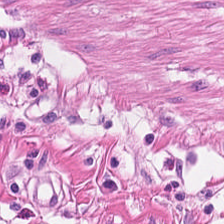0.5 µm/px · hematoxylin-and-eosin stained section · brightfield microscopy.
Tissue type: muscularis.
